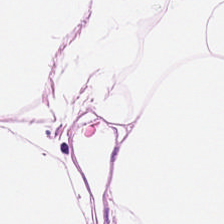Hematoxylin and eosin.
Predominantly adipose.
